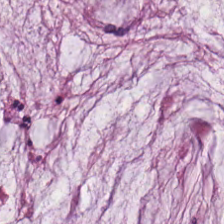Hematoxylin and eosin; whole-slide-image patch. The classification is mucus.
